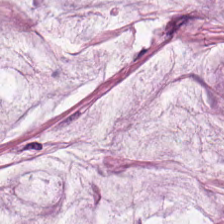H&E-stained tissue section; 0.5 µm per pixel; FFPE.
Tissue class = mucin.
